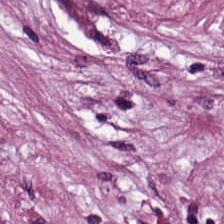Showing tumor stroma.
